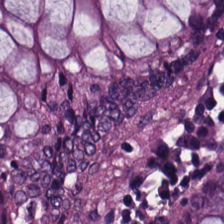H&E stain — The tissue here is normal colonic mucosa.
